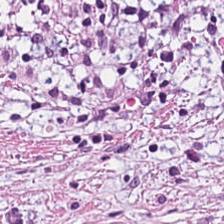Hematoxylin and eosin — Tissue class — desmoplastic stroma.
